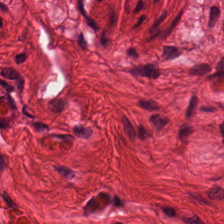H&E-stained tissue section — The predominant tissue is muscularis.
